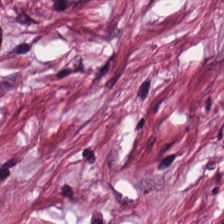H&E stain — Predominant tissue — cancer-associated stroma.
